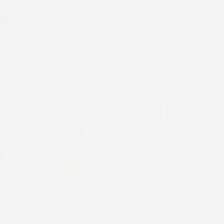This field is background (no tissue).
